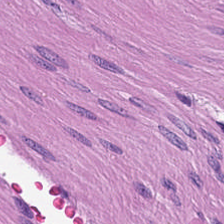Showing smooth muscle.
